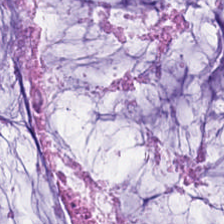H&E · 0.5 µm/px · FFPE tissue section. {"tissue_type": "extracellular mucin"}
